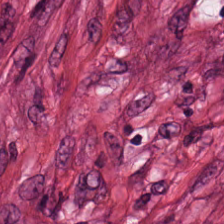0.5 µm/px · H&E-stained tissue section — Showing tumor stroma.
